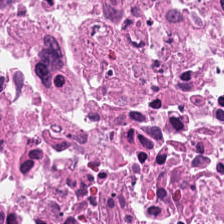Brightfield microscopy; FFPE tissue section; hematoxylin and eosin. The tissue here is necrotic debris.
